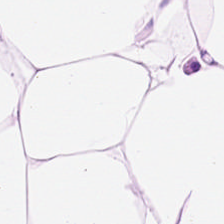H&E stain; 224×224 pixel tile — Impression → fat tissue.
